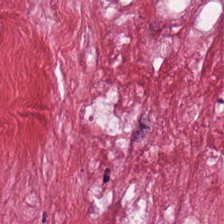Stain: hematoxylin and eosin.
Tissue class: tumor-associated stroma.
